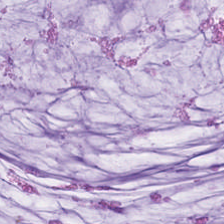H&E — The tissue here is mucus.
